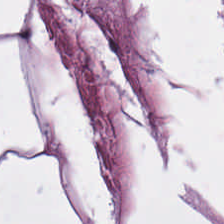H&E; FFPE tissue section.
{"tissue_type": "fat tissue"}
